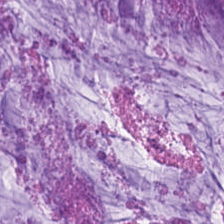This field is mucus.
